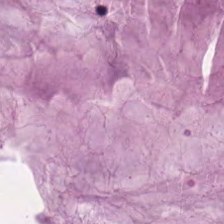Hematoxylin and eosin. Histology — mucin.
